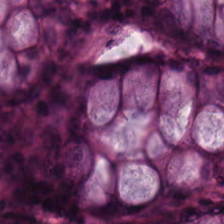Brightfield microscopy; 20× equivalent magnification; H&E stain. Q: Classify this patch.
A: This is non-neoplastic colon mucosa.
